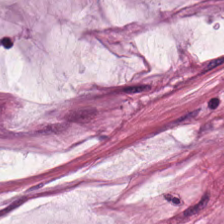FFPE tissue section; H&E-stained tissue section; brightfield. The tissue class is extracellular mucin.
